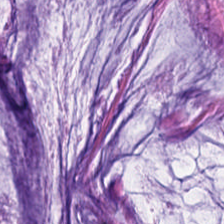Hematoxylin and eosin. 224×224 px tile. FFPE tissue section — Predominantly mucus.
